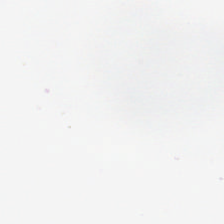Empty field — no tissue.
